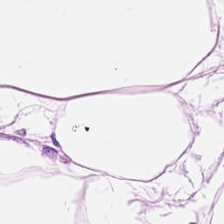Q: What is the predominant tissue type?
A: Adipose tissue.
